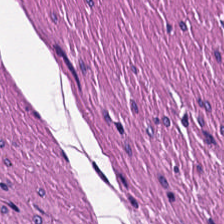H&E; 224×224 px patch — The tissue type is smooth-muscle tissue.
